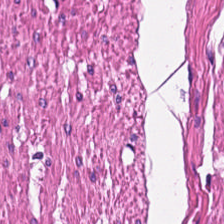Hematoxylin and eosin. 0.5 microns per pixel. Brightfield. {"tissue_type": "muscularis"}
